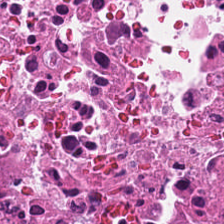Histology → cellular debris.
